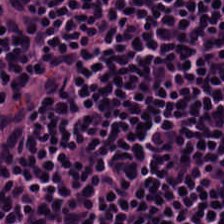Hematoxylin-and-eosin stained section.
This field is lymphocytes.
